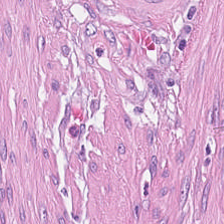H&E-stained tissue section showing desmoplastic stroma.
